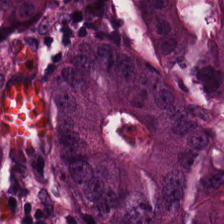Hematoxylin and eosin. 0.5 µm per pixel.
Showing colorectal adenocarcinoma epithelium.
